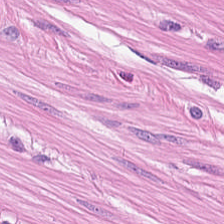H&E-stained tissue section. 0.5 µm/px — Tissue = smooth muscle.
